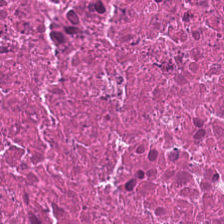0.5 microns per pixel; hematoxylin and eosin; 224×224 px patch — The classification is debris.
